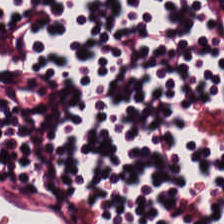Stain: H&E stain.
Resolution: 0.5 µm/px.
Acquisition: brightfield.
Tissue type: lymphocytic infiltrate.
